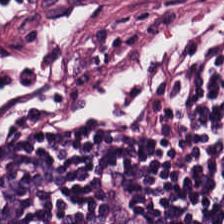H&E-stained tissue section — Histology — lymphocytes.
